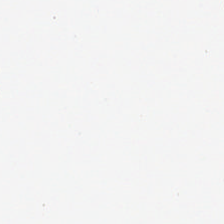224×224 pixel tile. Hematoxylin and eosin. FFPE.
Field content: background (no tissue).
